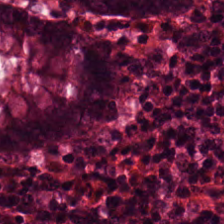Stain: H&E stain.
Resolution: 0.5 µm/px.
Predominant tissue: normal colonic mucosa.
